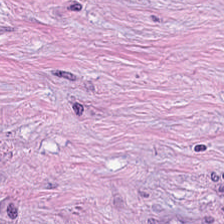H&E-stained tissue section. The tissue here is desmoplastic stroma.
